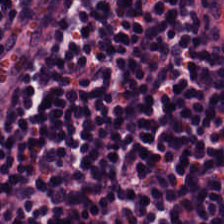20× equivalent magnification; H&E-stained tissue section.
Predominantly lymphocytic infiltrate.
